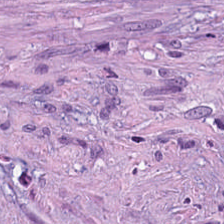Brightfield; hematoxylin and eosin. {"tissue_type": "tumor-associated stroma"}
